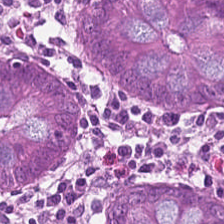Finding → benign colonic mucosa.
